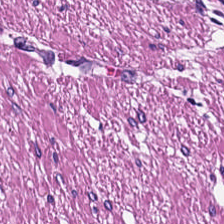H&E — Finding → muscularis.
